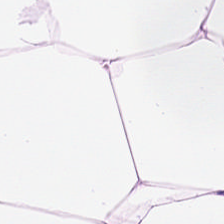H&E. This patch shows fat tissue.
